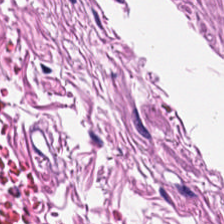H&E stain. Predominantly smooth-muscle tissue.
